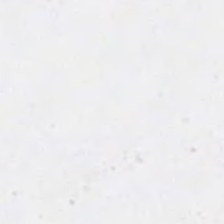Background — no tissue in this field.
